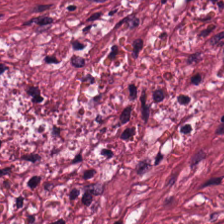H&E; 224×224 px tile; FFPE. Impression — tumor stroma.
